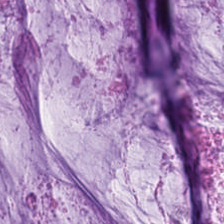FFPE tissue section · H&E-stained tissue section · 0.5 microns per pixel.
The tissue here is mucin.
